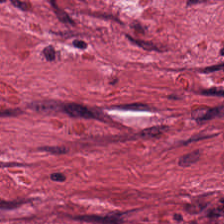Impression → desmoplastic stroma.
